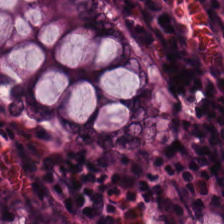Hematoxylin-and-eosin stained section.
This field is benign colonic mucosa.
